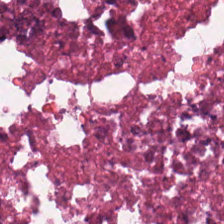Hematoxylin-and-eosin stained section · FFPE tissue section. Showing debris.
